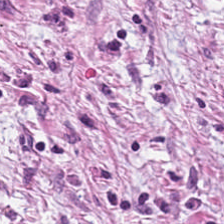H&E-stained tissue section. Brightfield microscopy — Q: What tissue type is shown here?
A: It is cancer-associated stroma.
